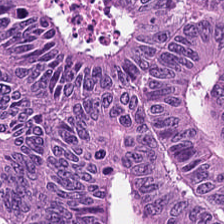H&E — Predominant tissue = tumor epithelium.
